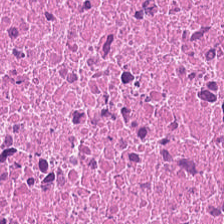Stain: H&E-stained tissue section.
Tile size: 224×224 px patch.
Resolution: 0.5 µm per pixel.
Predominant tissue: debris.
